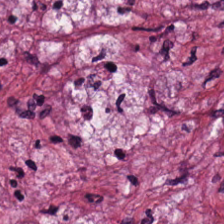Hematoxylin and eosin. The tissue type is cancer-associated stroma.
